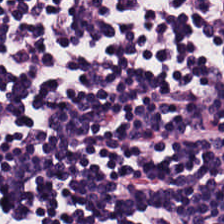Hematoxylin and eosin. Impression — lymphocytic infiltrate.
